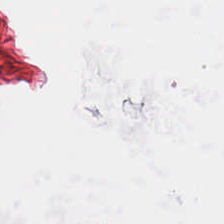Hematoxylin-and-eosin stained section; brightfield — Q: What does this patch show?
A: The field shows no tissue.
